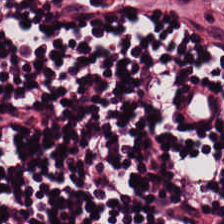Hematoxylin-and-eosin stained section — Predominantly lymphocyte aggregate.
